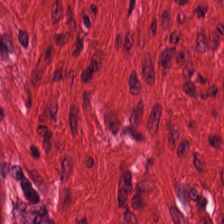H&E-stained tissue section. Tissue class = smooth muscle.
